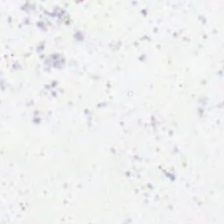Q: What does this patch show?
A: The field shows no tissue.
